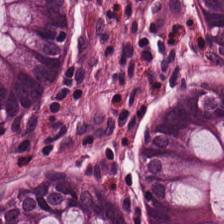224×224 pixel tile; hematoxylin and eosin — Q: What does this patch show?
A: Normal colonic mucosa.
